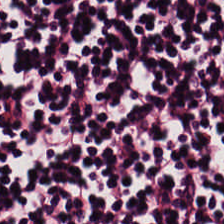The predominant tissue is lymphocyte aggregate.
